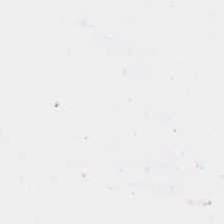H&E.
Background — no tissue in this field.
